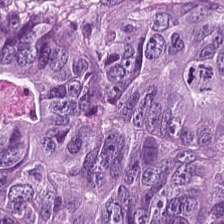H&E — colorectal adenocarcinoma epithelium.
